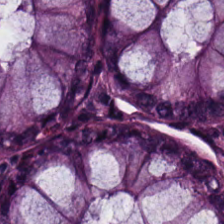H&E. 0.5 µm per pixel — Q: What tissue is shown?
A: This is non-neoplastic colon mucosa.
